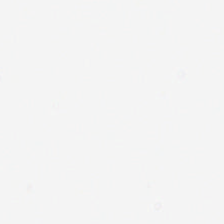Classification = background.
